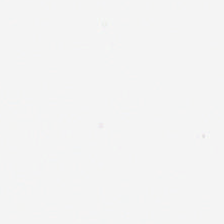Formalin-fixed paraffin-embedded section. 224×224 pixel tile. H&E stain — Empty background.
